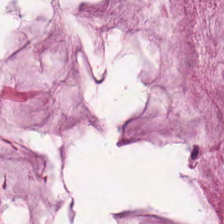224×224 px patch; H&E-stained tissue section; FFPE.
The predominant tissue is extracellular mucin.
